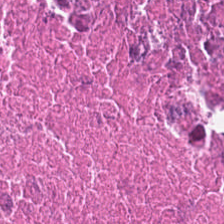Stain: H&E.
Acquisition: WSI patch.
Tissue class: cellular debris.
